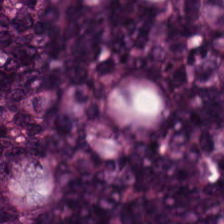Showing malignant epithelium.
